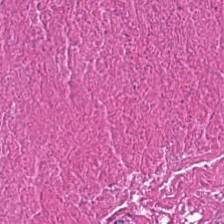224×224 px tile; 20× equivalent magnification; H&E — The predominant tissue is debris.
